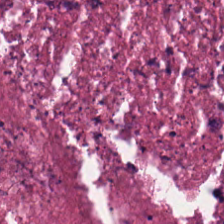224×224 pixel tile. Hematoxylin and eosin — Cellular debris.
